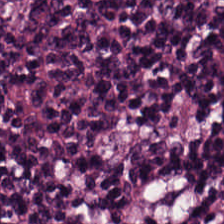Brightfield · hematoxylin and eosin · 0.5 µm/px — Q: What is shown here?
A: It is lymphocyte aggregate.
